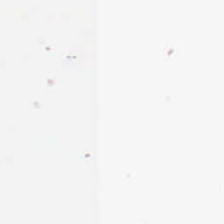Background — no tissue in this field.
